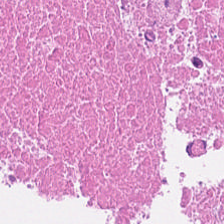Tissue type — debris.
